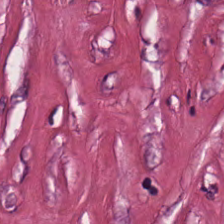{"tissue_type": "tumor-associated stroma"}
